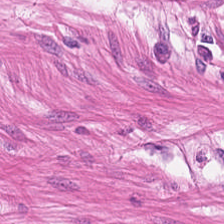Hematoxylin-and-eosin stained section. Brightfield.
Smooth-muscle tissue.
